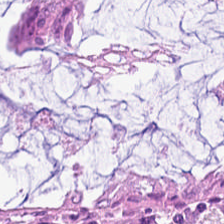Histology — normal colonic mucosa.
